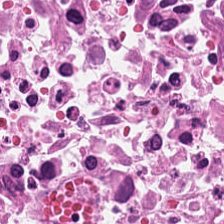20× equivalent magnification; 224×224 px tile; H&E stain — Q: What tissue is shown?
A: This is cellular debris.
